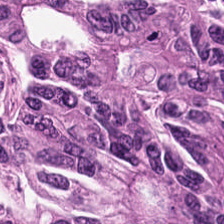Stain: H&E.
Classification: adenocarcinoma.
